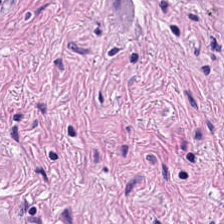Predominant tissue: smooth muscle.
